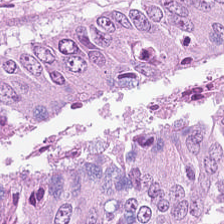Hematoxylin-and-eosin stained section — Tissue class — colorectal adenocarcinoma epithelium.
